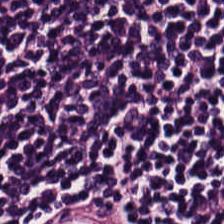Stain: hematoxylin and eosin.
Classification: lymphocytes.
